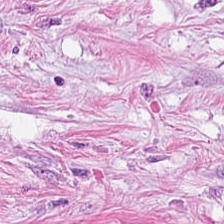Hematoxylin-and-eosin stained section. Finding → tumor stroma.
